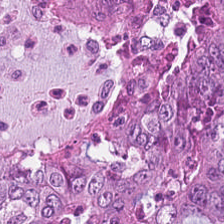Stain: H&E.
Preparation: formalin-fixed paraffin-embedded section.
Tissue: colorectal adenocarcinoma.
